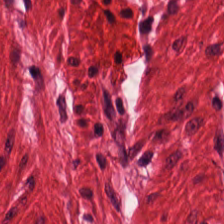Hematoxylin and eosin. This patch shows smooth-muscle tissue.
